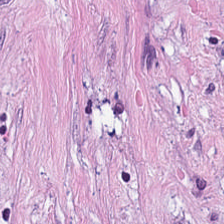H&E stain · 0.5 µm per pixel — Q: What is shown in this field?
A: The field shows cancer-associated stroma.
